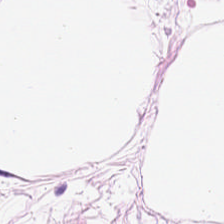0.5 microns per pixel. H&E-stained tissue section — Predominant tissue — adipocytes.
